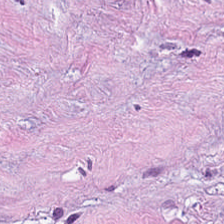Predominantly desmoplastic stroma.
